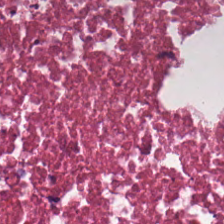H&E stain. Tissue type — debris.
